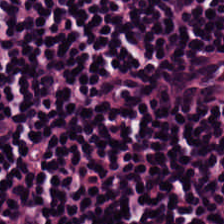H&E stain. Showing lymphocyte aggregate.
